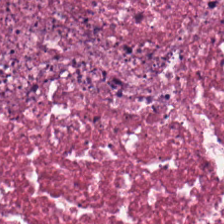H&E.
Debris.
